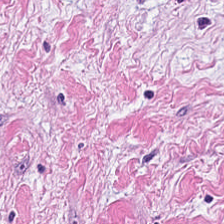224×224 px patch; H&E stain.
Showing cancer-associated stroma.
